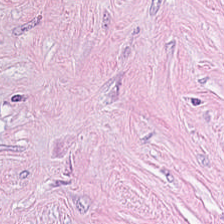FFPE tissue section · 224×224 pixel tile · H&E — The predominant tissue is tumor-associated stroma.
